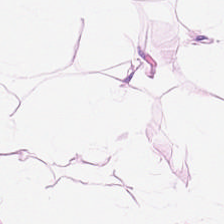H&E patch showing adipose tissue.
